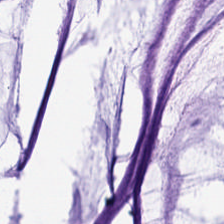Q: What tissue type is shown here?
A: The field shows extracellular mucin.
